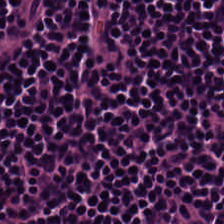H&E-stained tissue section — Predominantly lymphocyte aggregate.
